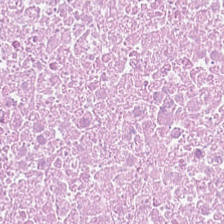Formalin-fixed paraffin-embedded section · H&E. This patch shows cellular debris.
